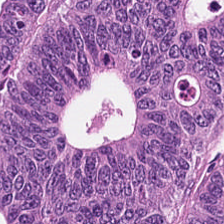H&E-stained tissue section — Finding — tumor epithelium.
